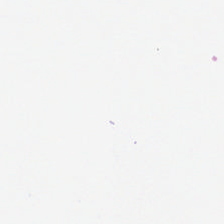Empty field — background.
